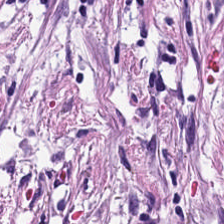H&E · brightfield microscopy · formalin-fixed paraffin-embedded section.
Tumor stroma.
